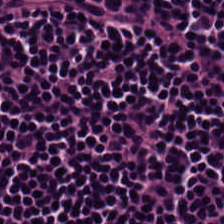The predominant tissue is lymphocyte aggregate.
